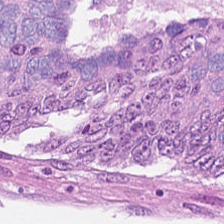Hematoxylin-and-eosin stained section. Tissue class — malignant epithelium.
